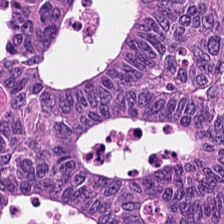H&E — Finding — adenocarcinoma.
